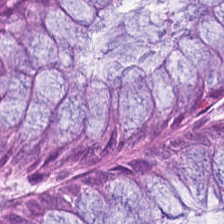H&E-stained tissue section. Brightfield. Formalin-fixed paraffin-embedded section.
Normal colon mucosa.
